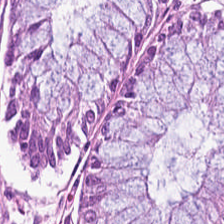Hematoxylin-and-eosin stained section. The tissue here is normal colon mucosa.
